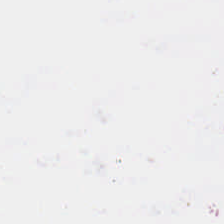224×224 px patch · hematoxylin and eosin. This patch shows background.
